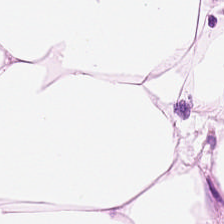Hematoxylin and eosin — Predominant tissue: adipose.
